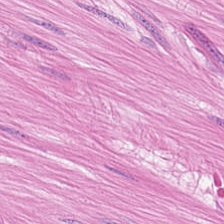Brightfield microscopy · H&E · 224×224 pixel tile — This field is muscularis.
